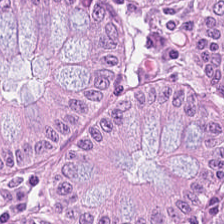0.5 µm/px. Brightfield. Hematoxylin-and-eosin stained section.
Q: What tissue type is shown here?
A: It is non-neoplastic colon mucosa.
